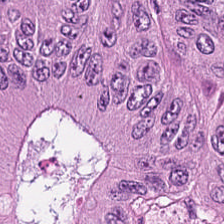FFPE tissue section. H&E stain. 224×224 px patch.
Tissue — tumor epithelium.
